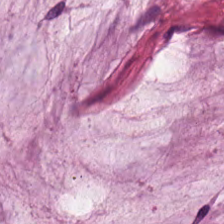{"tissue_type": "mucus"}
